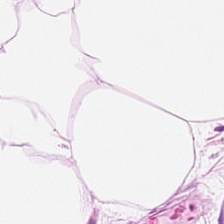Predominantly fat tissue.
